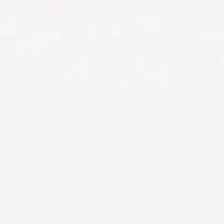H&E-stained tissue section — This field is background (no tissue).
